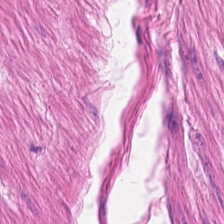H&E stain; 20× equivalent magnification; 224×224 px tile. The tissue here is muscularis.
